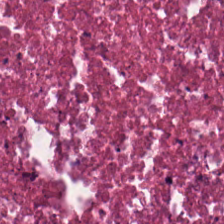H&E.
Tissue type: debris.
